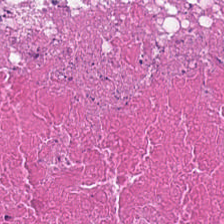The predominant tissue is cellular debris.
